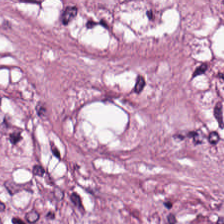Hematoxylin-and-eosin section: tumor stroma.
